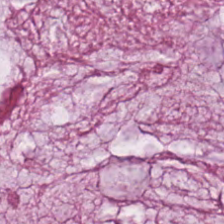Formalin-fixed paraffin-embedded section. 224×224 px tile. Hematoxylin-and-eosin stained section.
The classification is mucus.
